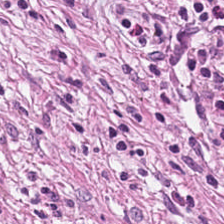Q: What does this patch show?
A: It is tumor-associated stroma.
